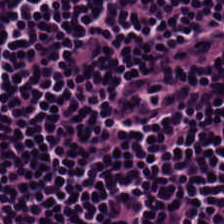Hematoxylin and eosin — The tissue here is lymphocytes.
